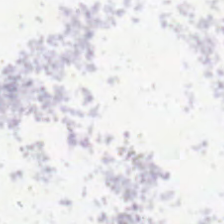Stain: hematoxylin and eosin.
Classification: background (no tissue).
